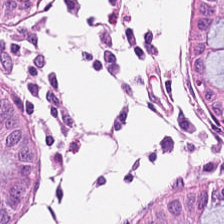Stain: hematoxylin and eosin.
Tile size: 224×224 pixel tile.
Tissue: non-neoplastic colon mucosa.
